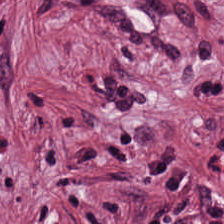Tissue — tumor stroma.
